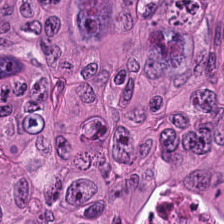Formalin-fixed paraffin-embedded section · hematoxylin and eosin.
The predominant tissue is colorectal adenocarcinoma.
